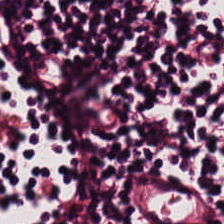Stain: H&E-stained tissue section.
Tissue: lymphocytes.
